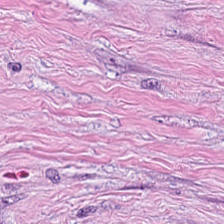Hematoxylin-and-eosin stained section; 0.5 microns per pixel. The predominant tissue is desmoplastic stroma.
